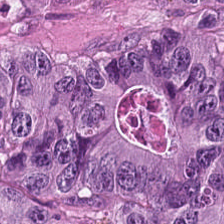Whole-slide-image patch; formalin-fixed paraffin-embedded section; hematoxylin-and-eosin stained section — {"tissue_type": "malignant epithelium"}
